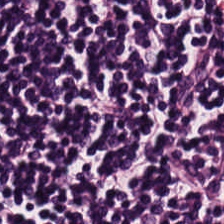H&E stain. Q: Classify this patch.
A: Lymphocytes.
